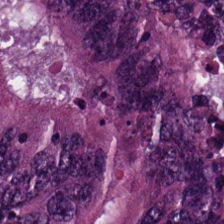224×224 px patch · H&E stain. Tumor epithelium.
